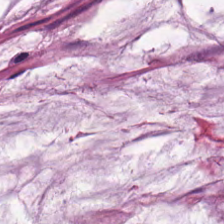Showing mucus.
